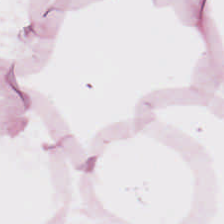H&E; FFPE tissue section. The predominant tissue is adipose.
